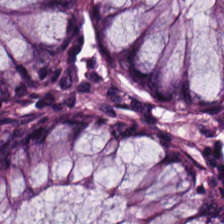224×224 px patch; WSI patch; hematoxylin-and-eosin stained section. Showing normal colon mucosa.
